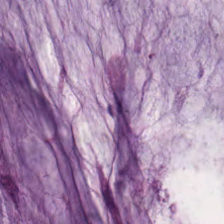H&E-stained tissue section showing extracellular mucin.
